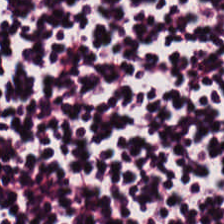0.5 µm/px · hematoxylin and eosin — Predominantly lymphocytic infiltrate.
